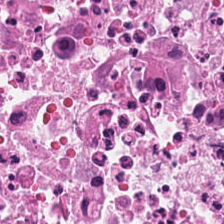WSI patch · H&E · 20× equivalent magnification.
Histology — debris.
